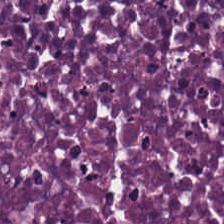Q: What tissue is shown?
A: Cellular debris.
